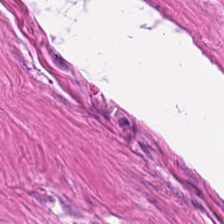H&E-stained tissue section. The predominant tissue is smooth muscle.
